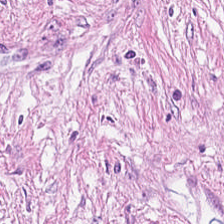H&E — Q: What is shown in this field?
A: Tumor stroma.
